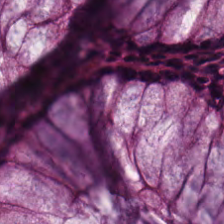H&E patch showing normal colon mucosa.
